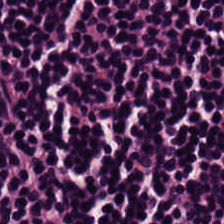0.5 µm/px; hematoxylin-and-eosin stained section.
The tissue type is lymphocytes.
